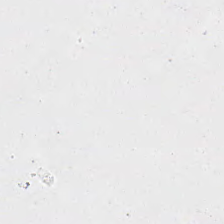H&E · 224×224 px patch. Q: What is shown in this field?
A: This is background (no tissue).
